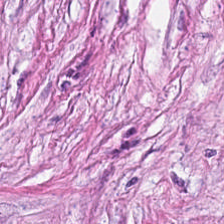H&E stain · FFPE tissue section · whole-slide-image patch — Q: What is the predominant tissue type?
A: This is cancer-associated stroma.
